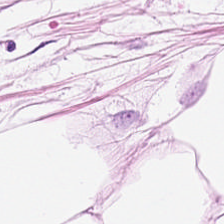H&E stain — Predominantly adipocytes.
